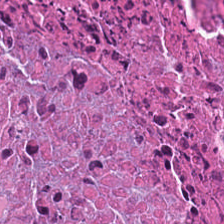Hematoxylin and eosin.
This field is necrotic debris.
